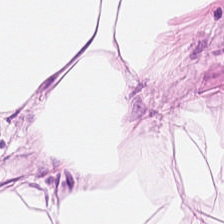224×224 px tile; H&E stain. The classification is fat tissue.
